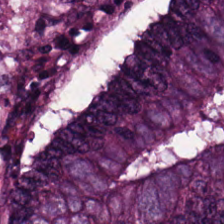H&E-stained tissue section — Finding — tumor epithelium.
